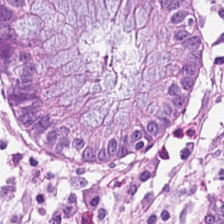Hematoxylin-and-eosin stained section. Brightfield microscopy. 224×224 px patch. This patch shows non-neoplastic colon mucosa.
